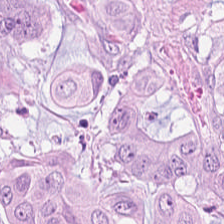Stain: hematoxylin-and-eosin stained section.
Tile size: 224×224 px patch.
Tissue type: tumor epithelium.
